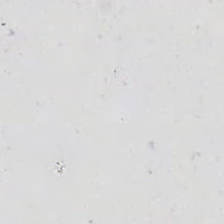Content: background (no tissue).
